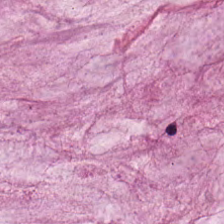Formalin-fixed paraffin-embedded section; H&E stain; 224×224 px patch.
This field is mucin.
